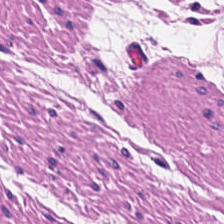Hematoxylin and eosin.
Predominantly smooth-muscle tissue.
